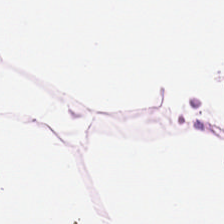224×224 px patch. H&E-stained tissue section — Q: Classify this patch.
A: It is adipose tissue.
